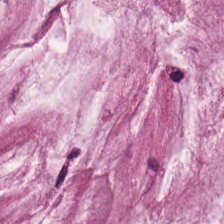Stain: H&E.
Acquisition: brightfield.
Resolution: 20× equivalent magnification.
Tissue: mucus.
